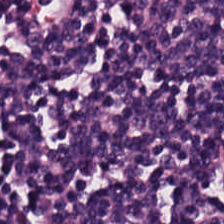Hematoxylin and eosin — The tissue here is lymphocytic infiltrate.
